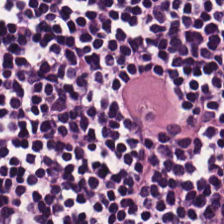Stain: hematoxylin and eosin.
Tissue class: lymphoid infiltrate.
